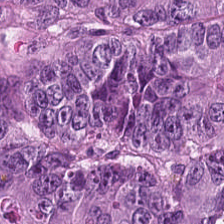224×224 px tile · H&E-stained tissue section.
{"tissue_type": "tumor epithelium"}
